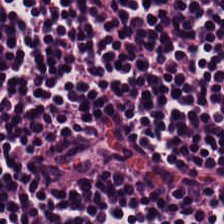Classification: lymphocytes.
